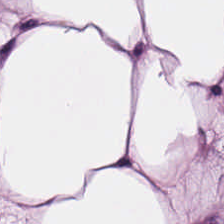Stain: H&E.
Tissue class: adipose.
